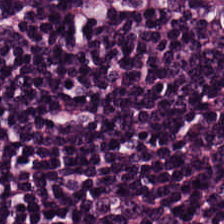0.5 microns per pixel; H&E stain; 224×224 px patch.
Predominantly lymphocytic infiltrate.
